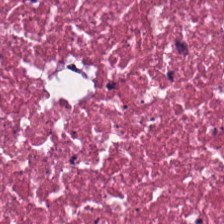Showing debris.
